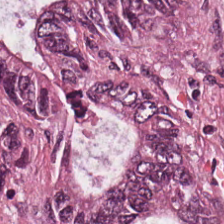20× equivalent magnification; hematoxylin and eosin; formalin-fixed paraffin-embedded section. Colorectal adenocarcinoma.
